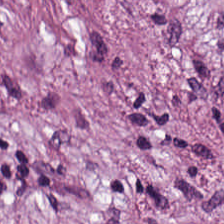Stain: hematoxylin-and-eosin stained section.
Preparation: formalin-fixed paraffin-embedded section.
Tissue: tumor-associated stroma.
